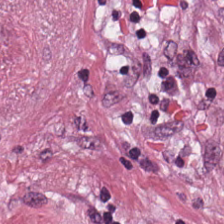Hematoxylin-and-eosin stained section.
Q: What is shown here?
A: The field shows tumor-associated stroma.
